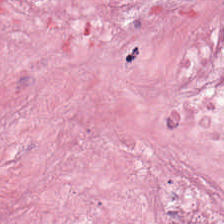H&E.
Classification = tumor-associated stroma.
